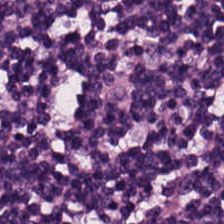H&E-stained tissue section. Q: What is shown here?
A: Lymphocytic infiltrate.
